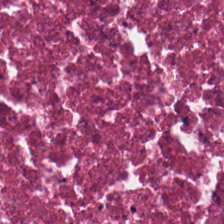H&E-stained tissue section. {"tissue_type": "necrotic debris"}
